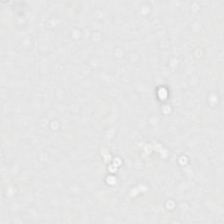Hematoxylin-and-eosin stained section · 0.5 microns per pixel · brightfield — Content: background (no tissue).
